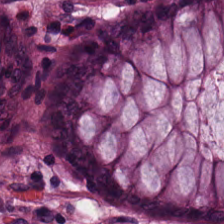Stain: hematoxylin and eosin.
Tissue class: normal colon mucosa.
